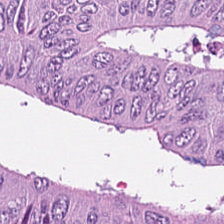FFPE tissue section; hematoxylin-and-eosin stained section. Tumor epithelium.
